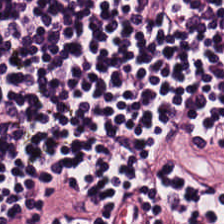Hematoxylin-and-eosin stained section.
Showing lymphocytic infiltrate.
